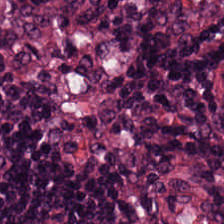Hematoxylin-and-eosin stained section · FFPE.
Showing lymphocytes.
